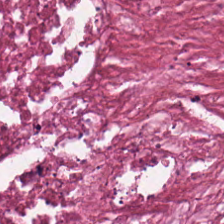Hematoxylin and eosin. Predominant tissue = cellular debris.
